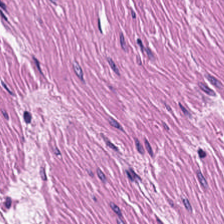Smooth-muscle tissue.
